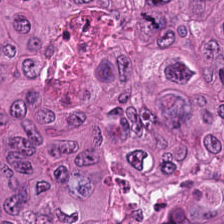Hematoxylin-and-eosin stained section. Tissue class — colorectal adenocarcinoma.
